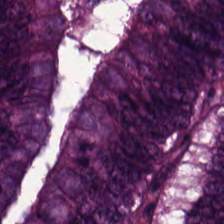Stain: H&E.
Tissue type: tumor epithelium.
